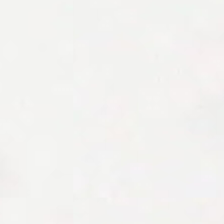This field is background (no tissue).
